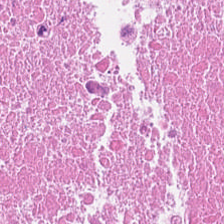{"tissue_type": "cellular debris"}
